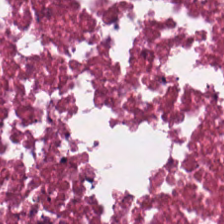H&E stain. The tissue here is necrotic debris.
